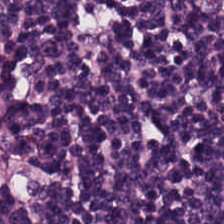H&E patch showing lymphocytic infiltrate.
